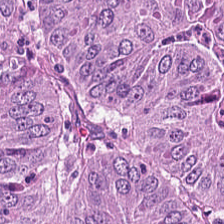FFPE tissue section; H&E-stained tissue section. Q: What is shown here?
A: Tumor epithelium.
